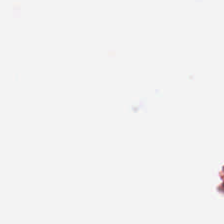224×224 px tile; hematoxylin-and-eosin stained section; 0.5 µm per pixel. Empty background.
